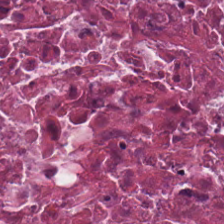The predominant tissue is cellular debris.
